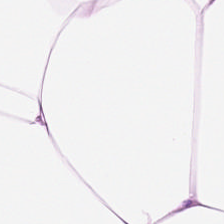WSI patch · H&E · FFPE tissue section. Adipose.
